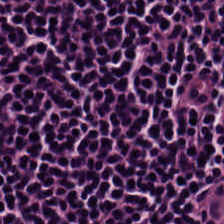Hematoxylin-and-eosin stained section; formalin-fixed paraffin-embedded section — This patch shows lymphocyte aggregate.
